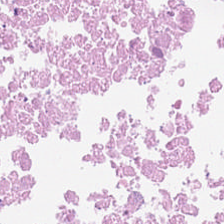Q: What type of tissue is this?
A: The field shows debris.
